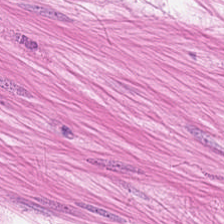Impression — smooth muscle.
